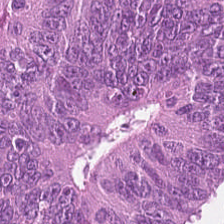H&E stain — The classification is malignant epithelium.
